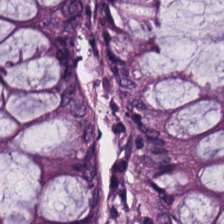H&E-stained tissue section.
Histology → benign colonic mucosa.
